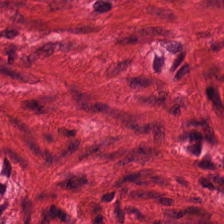Classification = muscularis.
